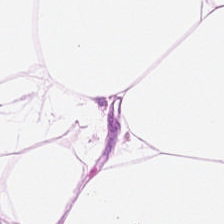Hematoxylin-and-eosin stained section.
Predominantly adipose tissue.
